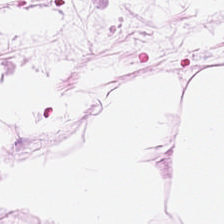Stain: H&E-stained tissue section.
Predominant tissue: adipose tissue.
